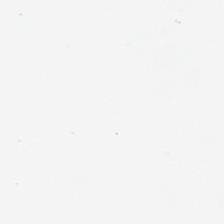224×224 pixel tile; H&E.
Content = background (no tissue).
